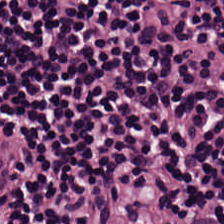Lymphocyte aggregate.
